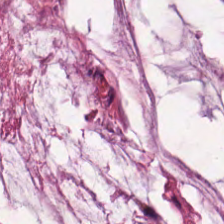H&E-stained tissue section. The classification is mucus.
